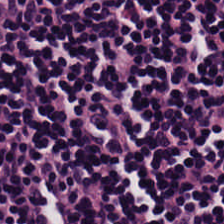H&E. Predominantly lymphoid infiltrate.
